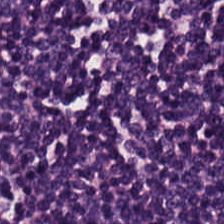H&E stain — Predominant tissue — lymphocytic infiltrate.
